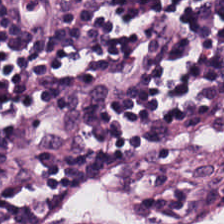Stain: H&E stain.
Tile size: 224×224 pixel tile.
Classification: lymphocyte aggregate.
